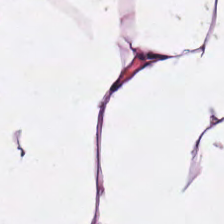Brightfield · H&E-stained tissue section · FFPE tissue section. Showing adipocytes.
